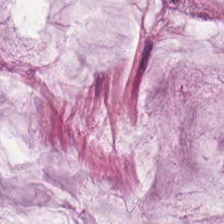224×224 pixel tile · FFPE tissue section · hematoxylin and eosin — Predominantly mucin.
